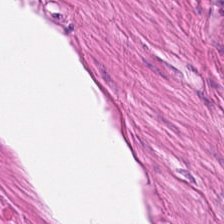H&E stain. This field is smooth muscle.
